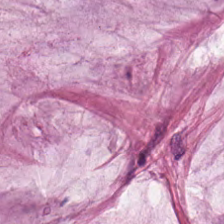Tissue class = mucus.
